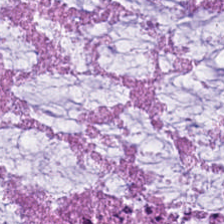Hematoxylin-and-eosin stained section.
Classification — mucus.
